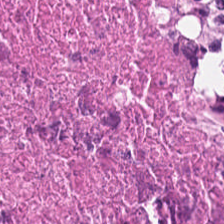{"tissue_type": "cellular debris"}
